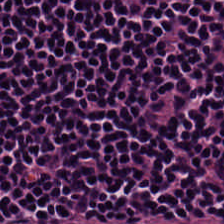H&E stain · WSI patch. Lymphocytes.
